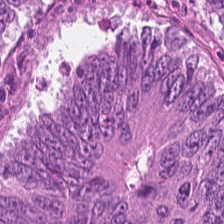Stain: H&E.
Tissue class: malignant epithelium.
